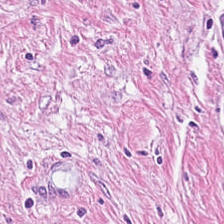224×224 pixel tile · H&E. Showing desmoplastic stroma.
